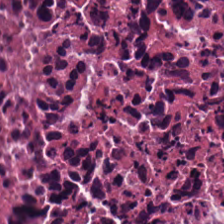Hematoxylin-and-eosin stained section. Q: Classify this patch.
A: Debris.
